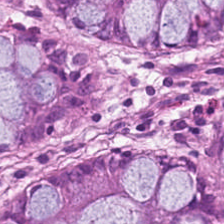H&E. Q: What tissue type is shown here?
A: The field shows normal colonic mucosa.
